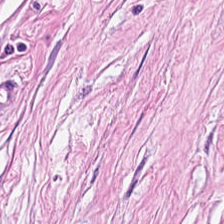H&E — The predominant tissue is tumor-associated stroma.
